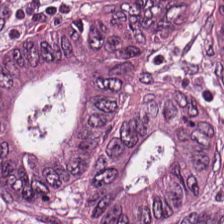H&E — {"tissue_type": "colorectal adenocarcinoma epithelium"}
